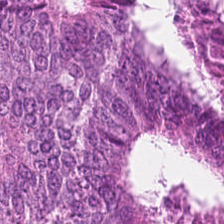Finding → malignant epithelium.
